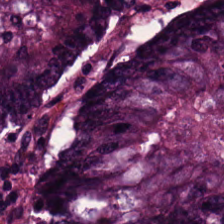H&E-stained tissue section showing adenocarcinoma.
